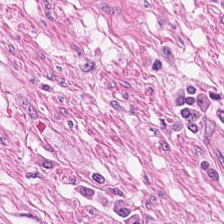FFPE · hematoxylin-and-eosin stained section.
Classification — smooth-muscle tissue.
